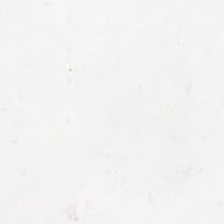H&E — The classification is empty background.
